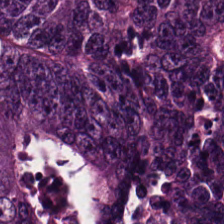Stain: hematoxylin and eosin.
Predominant tissue: tumor epithelium.
